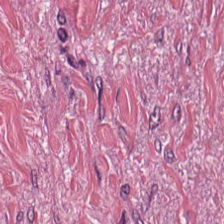Finding — desmoplastic stroma.
